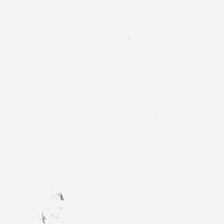20× equivalent magnification; hematoxylin and eosin.
Background.
